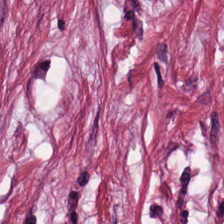20× equivalent magnification; H&E.
Finding — tumor-associated stroma.
